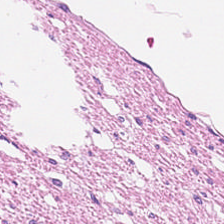Hematoxylin and eosin — {"tissue_type": "smooth-muscle tissue"}
